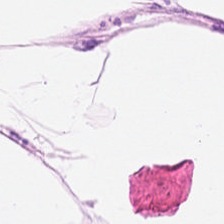This patch shows adipocytes.
